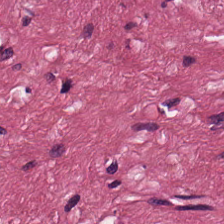{"tissue_type": "cancer-associated stroma"}
